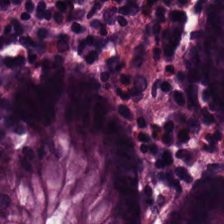{"tissue_type": "normal colon mucosa"}
